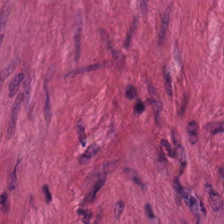FFPE tissue section; H&E stain. Tissue = muscularis.
